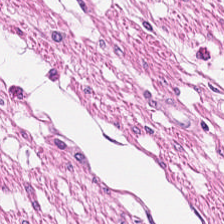224×224 px patch. H&E.
This field is muscularis.
